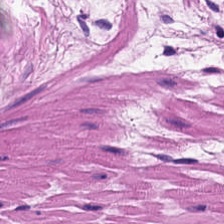224×224 px tile; hematoxylin-and-eosin stained section — This field is muscularis.
